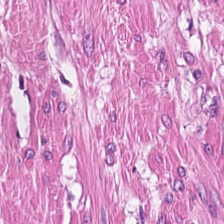Predominantly muscularis.
